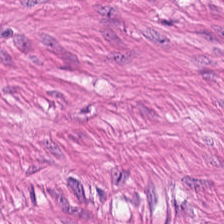H&E stain.
The tissue here is muscularis.
